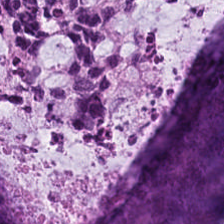H&E. This patch shows mucus.
